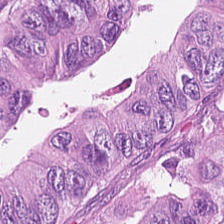{"tissue_type": "colorectal adenocarcinoma"}
